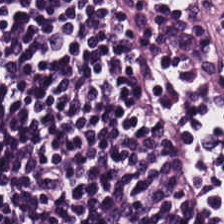H&E-stained tissue section — The tissue here is lymphocyte aggregate.
